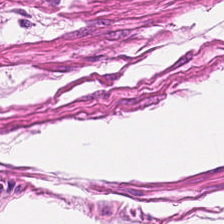224×224 pixel tile; H&E — Q: What is shown in this field?
A: This is muscularis.
